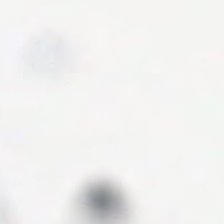Q: What is shown in this field?
A: It is background (no tissue).
